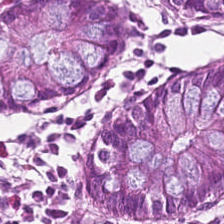H&E; FFPE.
Q: What is shown in this field?
A: This is non-neoplastic colon mucosa.
